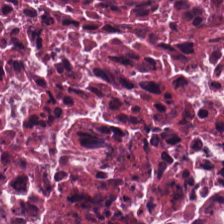Hematoxylin and eosin.
Tissue class: debris.
